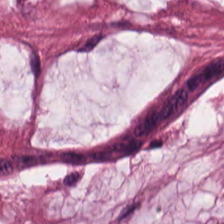H&E · 224×224 px tile. Q: Classify this patch.
A: Mucin.
